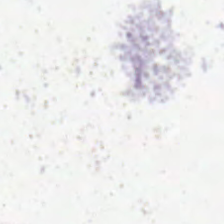Content = background (no tissue).
